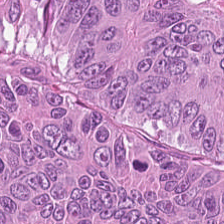Hematoxylin-and-eosin stained section. Brightfield.
The predominant tissue is colorectal adenocarcinoma epithelium.
